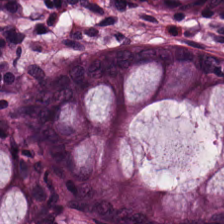Hematoxylin and eosin · 224×224 px patch · formalin-fixed paraffin-embedded section.
This patch shows non-neoplastic colon mucosa.
